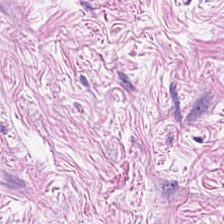Histology — tumor-associated stroma.
